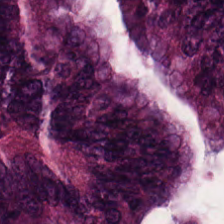The predominant tissue is malignant epithelium.
